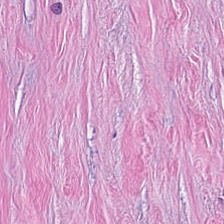Classification: desmoplastic stroma.
